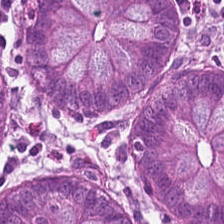H&E; 224×224 px tile; FFPE tissue section. Impression → benign colonic mucosa.
